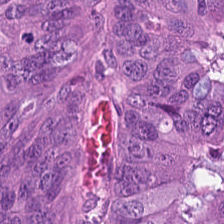H&E · 224×224 px tile.
Impression — colorectal adenocarcinoma epithelium.
